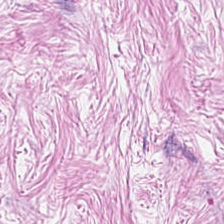Stain: H&E stain.
Preparation: FFPE.
Tissue class: cancer-associated stroma.
